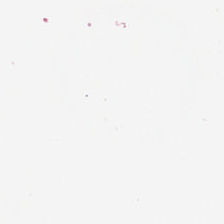This patch shows no tissue.
